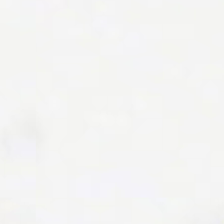224×224 pixel tile. H&E-stained tissue section.
Q: What does this patch show?
A: The field shows no tissue.
